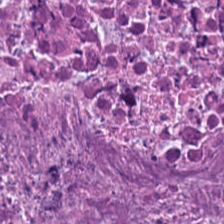Hematoxylin and eosin · brightfield · 224×224 px patch.
Tissue type: debris.
